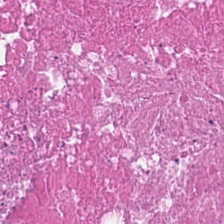Stain: H&E-stained tissue section.
Tissue type: cellular debris.
